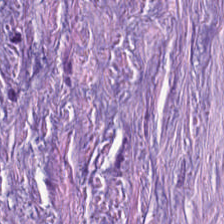H&E stain; 20× equivalent magnification.
This patch shows tumor stroma.
